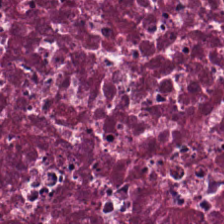Stain: H&E stain.
Tissue: necrotic debris.
